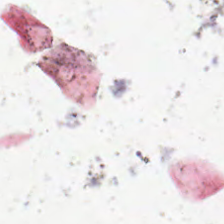Content — empty background.
